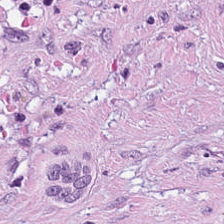The tissue here is tumor stroma.
